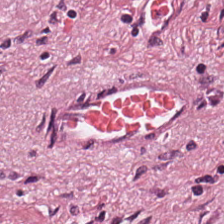H&E-stained tissue section. Tissue class = desmoplastic stroma.
